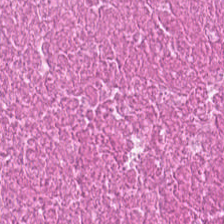Tissue type — cellular debris.
